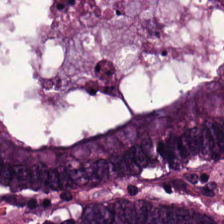The tissue here is colorectal adenocarcinoma epithelium.
